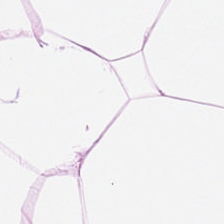H&E-stained tissue section. This patch shows adipose tissue.
